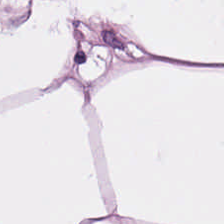Q: Classify this patch.
A: Adipose.
